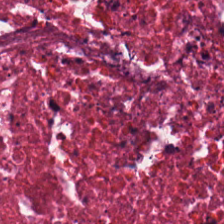FFPE · 224×224 pixel tile · hematoxylin and eosin. Predominant tissue: necrotic debris.
